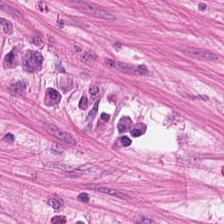Stain: H&E.
Resolution: 0.5 µm per pixel.
Predominant tissue: smooth muscle.
